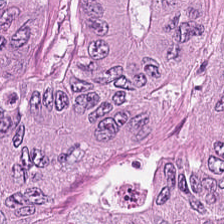WSI patch · H&E. Predominantly colorectal adenocarcinoma.
